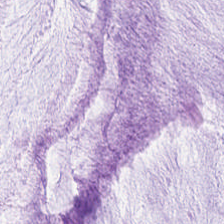Hematoxylin and eosin. Brightfield microscopy. 224×224 px tile. Predominantly extracellular mucin.
